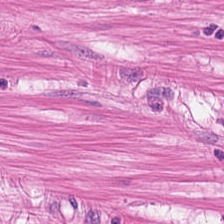Hematoxylin-and-eosin stained section — {"tissue_type": "smooth-muscle tissue"}
